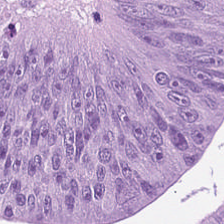224×224 pixel tile. H&E-stained tissue section — Q: Classify this patch.
A: Colorectal adenocarcinoma.
